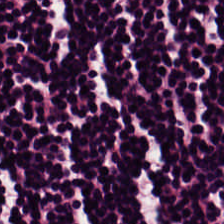Hematoxylin-and-eosin stained section.
The predominant tissue is lymphocyte aggregate.
